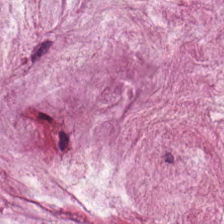Hematoxylin-and-eosin stained section — This field is extracellular mucin.
